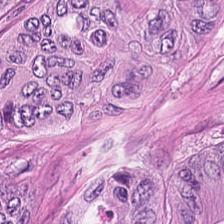Tissue type: tumor epithelium.
